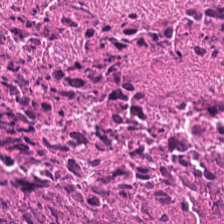H&E stain · FFPE tissue section · 224×224 px tile. Classification = debris.
